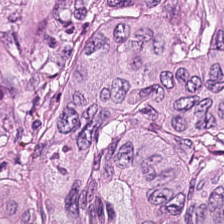Impression → colorectal adenocarcinoma epithelium.
